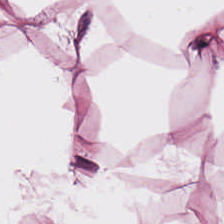Hematoxylin and eosin. Tissue type: fat tissue.
